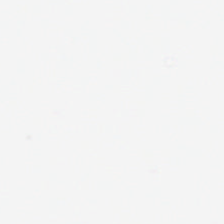224×224 px tile; hematoxylin and eosin. This patch shows no tissue.
